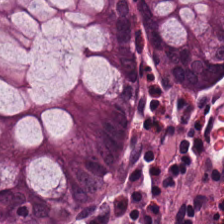0.5 µm/px. H&E stain.
The tissue here is normal colonic mucosa.
